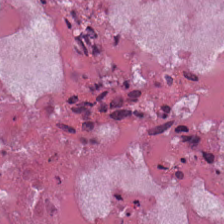The predominant tissue is necrotic debris.
